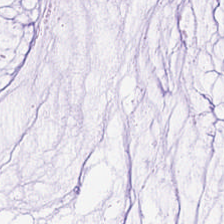Hematoxylin-and-eosin stained section · WSI patch — The predominant tissue is mucus.
